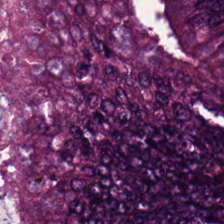Hematoxylin-and-eosin stained section.
Tissue type: tumor epithelium.
